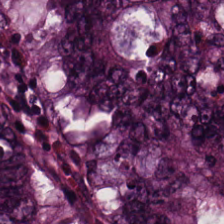Hematoxylin and eosin — Tissue — colorectal adenocarcinoma.
